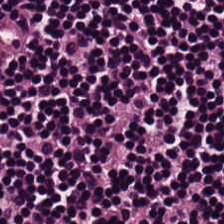H&E; FFPE — This field is lymphoid infiltrate.
